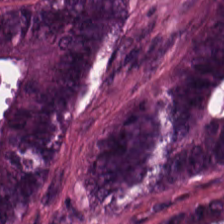Q: Classify this patch.
A: This is malignant epithelium.
